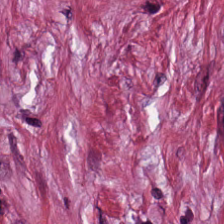H&E — Tissue type — desmoplastic stroma.
